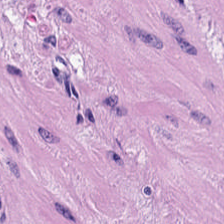20× equivalent magnification. Hematoxylin and eosin.
Showing smooth-muscle tissue.
